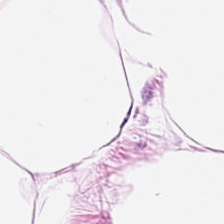Stain: H&E stain.
Tile size: 224×224 px patch.
Resolution: 0.5 microns per pixel.
Classification: adipose tissue.
